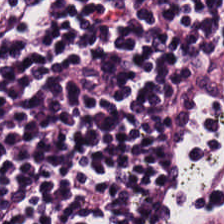Stain: hematoxylin and eosin.
Resolution: 0.5 µm/px.
Preparation: FFPE tissue section.
Tissue: lymphocytic infiltrate.
